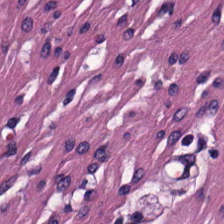H&E. Histology → smooth muscle.
